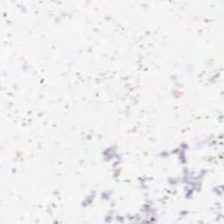H&E-stained tissue section.
Q: What is shown in this field?
A: It is background (no tissue).
